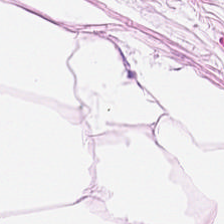H&E stain · 224×224 px patch · FFPE — Q: Classify this patch.
A: This is adipocytes.
